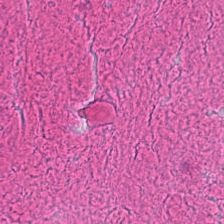0.5 µm/px; hematoxylin-and-eosin stained section. Classification = debris.
